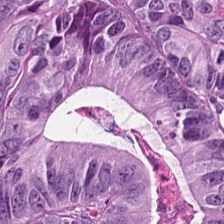Hematoxylin-and-eosin stained section. FFPE tissue section.
Q: What does this patch show?
A: Malignant epithelium.
